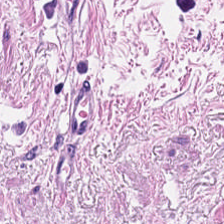Finding — muscularis.
